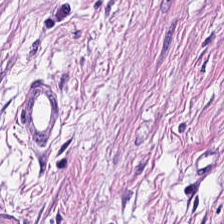H&E-stained section; the field shows smooth-muscle tissue.
